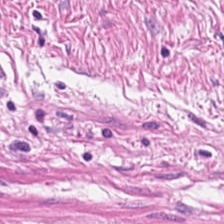H&E-stained section; the field shows smooth-muscle tissue.
